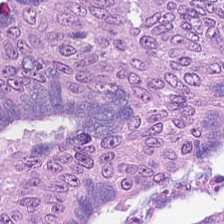Whole-slide-image patch; H&E-stained tissue section. Q: Identify the tissue.
A: It is colorectal adenocarcinoma epithelium.
